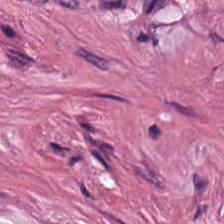H&E — Tissue — tumor-associated stroma.
